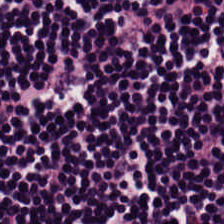H&E stain. 224×224 px tile.
The tissue class is lymphoid infiltrate.
